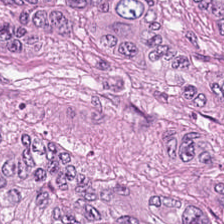Predominant tissue = adenocarcinoma.
